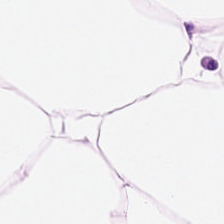H&E stain. This field is adipocytes.
